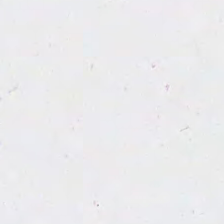Stain: H&E.
Field content: background.
